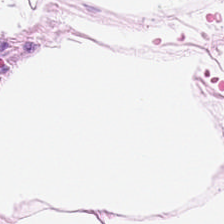H&E; 224×224 px patch — Impression — adipocytes.
